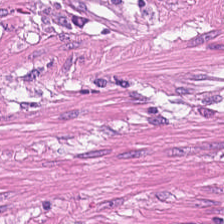Hematoxylin-and-eosin stained section; 224×224 px patch.
Showing smooth muscle.
